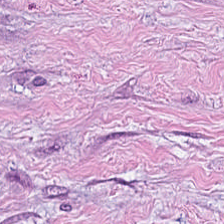224×224 px tile. H&E-stained tissue section.
Q: What tissue is shown?
A: The field shows tumor stroma.
